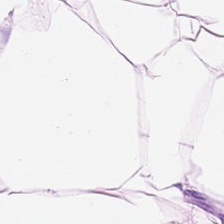224×224 px tile; H&E. {"tissue_type": "adipose tissue"}
